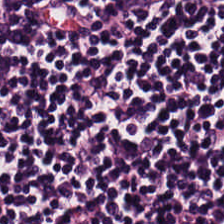Hematoxylin and eosin. Impression → lymphocytic infiltrate.
